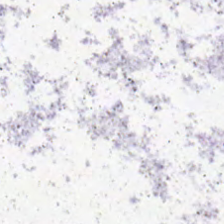0.5 µm/px; H&E; 224×224 px tile — Field content = empty background.
